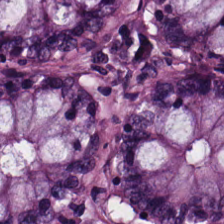Hematoxylin and eosin.
Tissue type — benign colonic mucosa.
